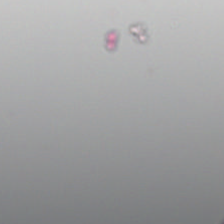Field content = background (no tissue).
